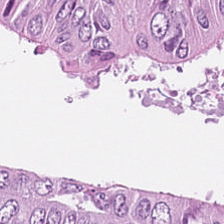H&E-stained tissue section. This patch shows adenocarcinoma.
